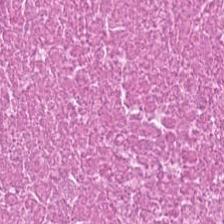H&E · 224×224 px patch.
Q: Classify this patch.
A: It is cellular debris.
